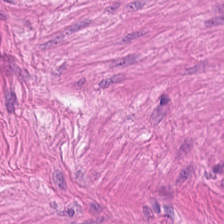0.5 µm per pixel; hematoxylin and eosin.
Impression → smooth-muscle tissue.
